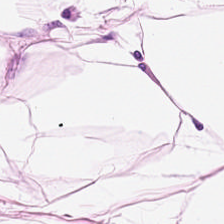Brightfield microscopy · H&E stain.
Q: What type of tissue is this?
A: The field shows adipocytes.
